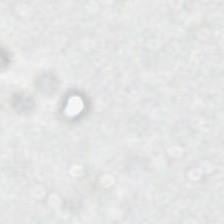Hematoxylin-and-eosin stained section. Q: Classify this patch.
A: This is empty background.
